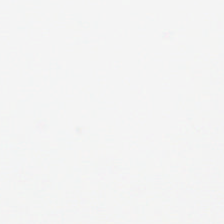H&E — Empty field — no tissue.
